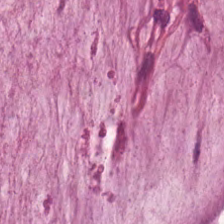FFPE tissue section; H&E-stained tissue section. Histology → mucus.
